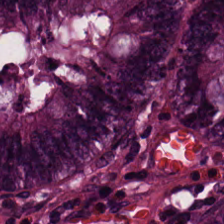H&E-stained tissue section — The tissue type is normal colon mucosa.
